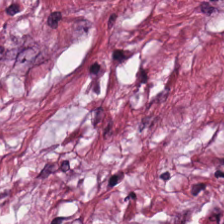H&E — Predominant tissue = tumor stroma.
